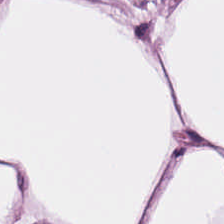Hematoxylin and eosin. Showing adipose.
